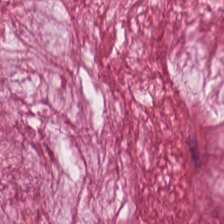H&E-stained tissue section. 224×224 px patch. WSI patch — Finding — extracellular mucin.
